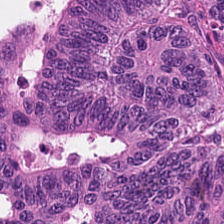H&E stain. 224×224 px tile. Showing adenocarcinoma.
